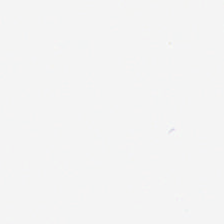H&E-stained tissue section; FFPE tissue section; 224×224 px tile — Background — no tissue in this field.
